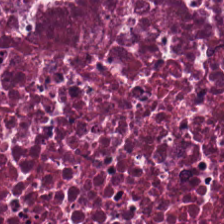Brightfield. FFPE tissue section. H&E-stained tissue section.
Histology — debris.
